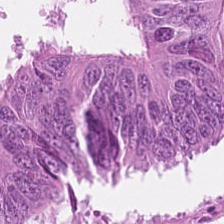H&E-stained tissue section. Brightfield microscopy. 224×224 px patch.
Q: Identify the tissue.
A: Colorectal adenocarcinoma epithelium.
